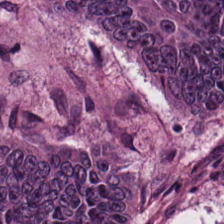0.5 microns per pixel. FFPE. H&E. Tissue type — tumor epithelium.
